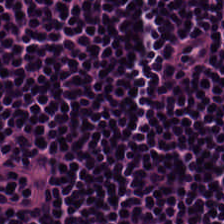Hematoxylin-and-eosin stained section. 0.5 µm per pixel. Formalin-fixed paraffin-embedded section. The predominant tissue is lymphocyte aggregate.
